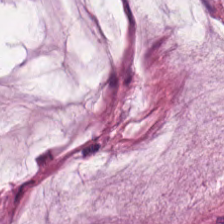0.5 µm per pixel. Hematoxylin and eosin. Predominant tissue — mucus.
